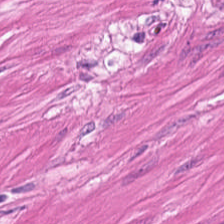H&E-stained tissue section showing smooth muscle.
